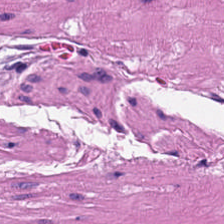Hematoxylin and eosin; 0.5 µm per pixel.
Predominantly smooth muscle.
